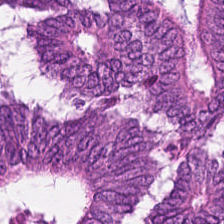H&E stain.
Tissue: malignant epithelium.
